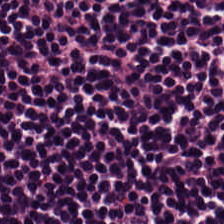WSI patch · H&E-stained tissue section. Finding — lymphocyte aggregate.
